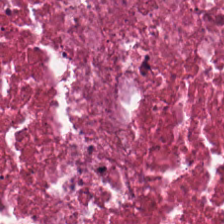Hematoxylin-and-eosin stained section; brightfield microscopy. This field is necrotic debris.
